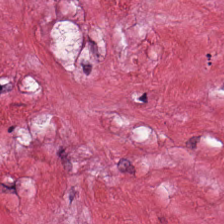FFPE tissue section. H&E stain. 0.5 microns per pixel.
Q: What tissue type is shown here?
A: It is cancer-associated stroma.
